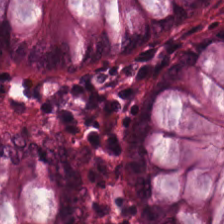Hematoxylin-and-eosin stained section — Predominantly non-neoplastic colon mucosa.
